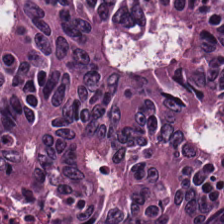224×224 pixel tile; H&E-stained tissue section; 0.5 µm per pixel — Predominant tissue — tumor epithelium.
